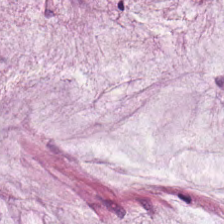The tissue here is mucin.
